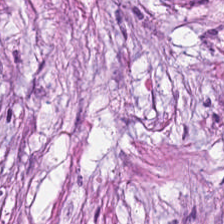Hematoxylin-and-eosin stained section — Classification = cancer-associated stroma.
